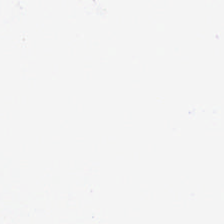Formalin-fixed paraffin-embedded section; 0.5 µm per pixel; hematoxylin-and-eosin stained section — Field content — no tissue.
